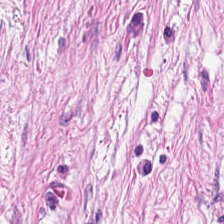224×224 px tile · H&E-stained tissue section. The tissue is tumor-associated stroma.
